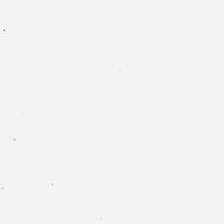H&E.
Classification = background (no tissue).
